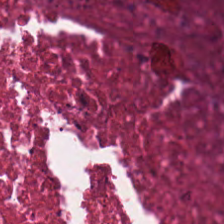H&E-stained tissue section.
Q: Identify the tissue.
A: The field shows cellular debris.
